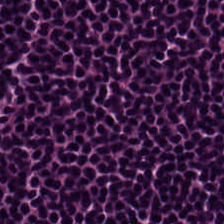Tissue — lymphocytic infiltrate.
